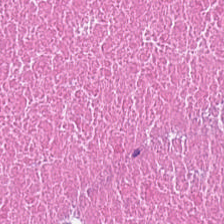H&E — The tissue class is debris.
